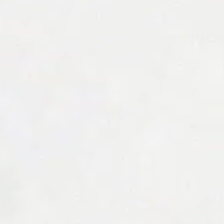{"content": "empty background"}
